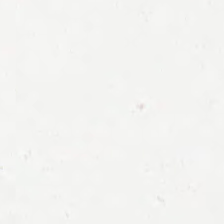Hematoxylin and eosin.
Field content = no tissue.
